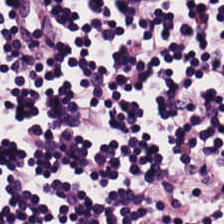Showing lymphocyte aggregate.
